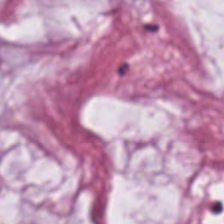Stain: hematoxylin-and-eosin stained section.
Tile size: 224×224 px tile.
Tissue class: mucus.
